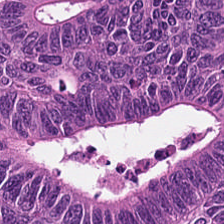0.5 µm per pixel. H&E stain.
Q: What tissue is shown?
A: The field shows tumor epithelium.
